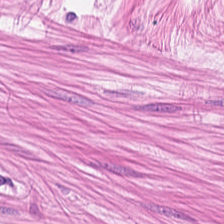H&E. Tissue class = smooth-muscle tissue.
